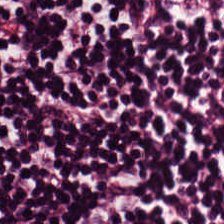Q: What does this patch show?
A: This is lymphocytic infiltrate.
